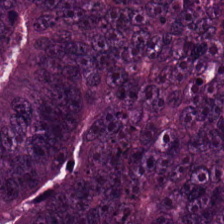H&E-stained tissue section. FFPE — The predominant tissue is tumor epithelium.
